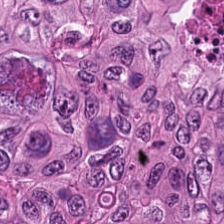H&E.
Q: What is the predominant tissue type?
A: It is colorectal adenocarcinoma.
